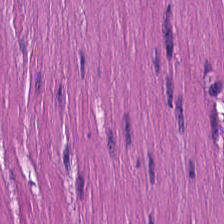Hematoxylin-and-eosin section: muscularis.
